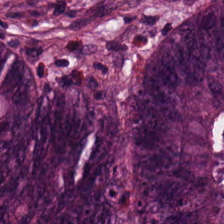Brightfield; H&E stain — Histology — tumor epithelium.
